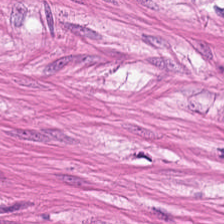Stain: H&E.
Tissue class: muscularis.
